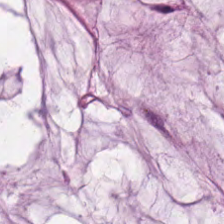Histology — mucin.
